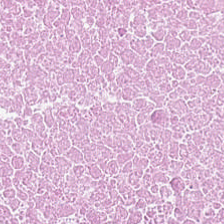20× equivalent magnification · hematoxylin-and-eosin stained section · brightfield microscopy. Q: Identify the tissue.
A: Necrotic debris.
